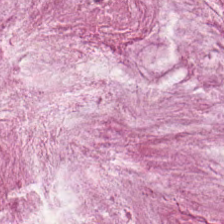Whole-slide-image patch. Hematoxylin-and-eosin stained section.
Tissue — extracellular mucin.
